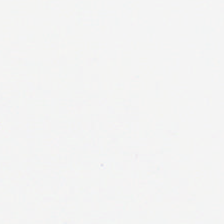H&E-stained tissue section; FFPE. Q: What does this patch show?
A: Background.
